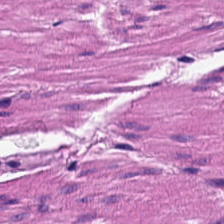Stain: H&E-stained tissue section.
Resolution: 0.5 µm/px.
Tissue: muscularis.
